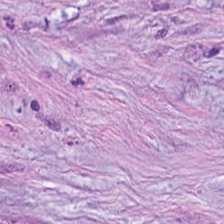Hematoxylin-and-eosin stained section — The predominant tissue is cancer-associated stroma.
